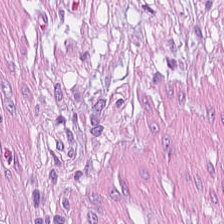Hematoxylin-and-eosin stained section.
Q: Classify this patch.
A: This is tumor stroma.
